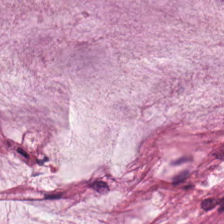Hematoxylin and eosin.
Tissue = extracellular mucin.
